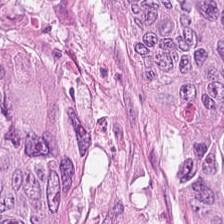Hematoxylin-and-eosin stained section.
Q: What is shown here?
A: Colorectal adenocarcinoma epithelium.
